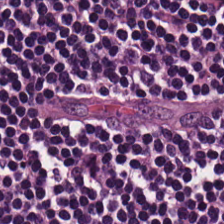H&E stain. 224×224 px tile. Tissue class — lymphocytic infiltrate.
